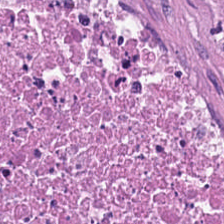H&E — Finding → cellular debris.
